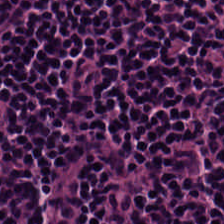Tissue type = lymphocyte aggregate.
